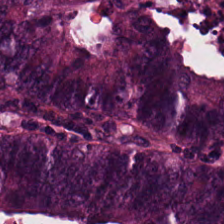H&E-stained tissue section; 0.5 µm per pixel. The tissue here is colorectal adenocarcinoma.
